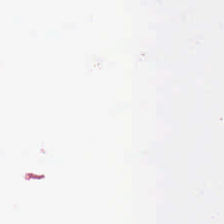0.5 µm/px · hematoxylin and eosin.
Content = background.
